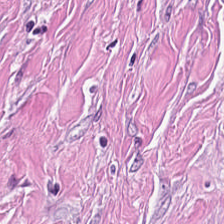H&E stain. The tissue is tumor-associated stroma.
